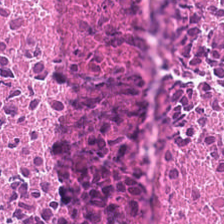Q: Classify this patch.
A: The field shows debris.
